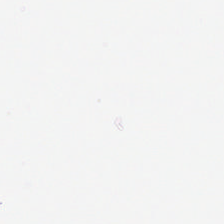No tissue present; background only.
